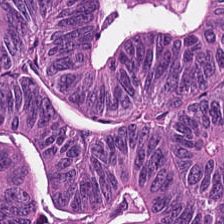Hematoxylin and eosin. Tissue — adenocarcinoma.
